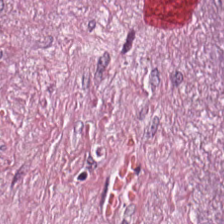H&E stain · brightfield · 224×224 px tile. Finding → cancer-associated stroma.
